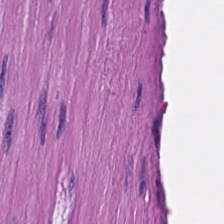Hematoxylin-and-eosin stained section · 0.5 µm/px · 224×224 pixel tile — The tissue here is muscularis.
